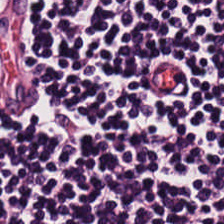224×224 px tile · H&E stain. Q: What tissue is shown?
A: The field shows lymphoid infiltrate.
